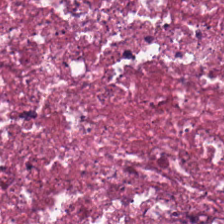Hematoxylin-and-eosin stained section · brightfield microscopy — {"tissue_type": "debris"}
